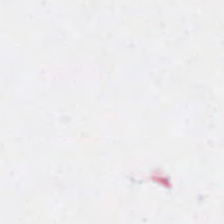Field content: background.
